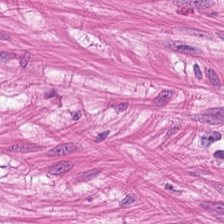Hematoxylin-and-eosin stained section. Finding → smooth-muscle tissue.
